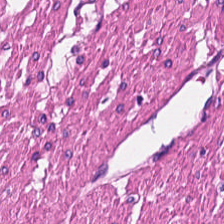FFPE tissue section · H&E. Q: What is shown here?
A: It is smooth muscle.
